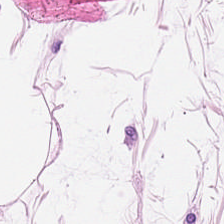H&E-stained tissue section — Q: What type of tissue is this?
A: This is fat tissue.
